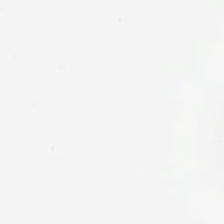Whole-slide-image patch · H&E stain — Q: What does this patch show?
A: Background (no tissue).
